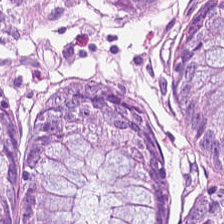Hematoxylin-and-eosin stained section. FFPE. Whole-slide-image patch.
Q: What does this patch show?
A: The field shows normal colon mucosa.
